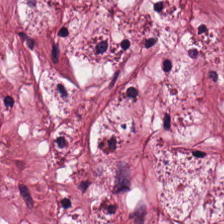Hematoxylin and eosin — Tissue — tumor-associated stroma.
